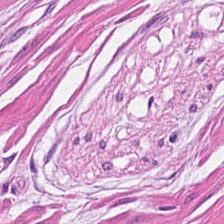This field is smooth-muscle tissue.
